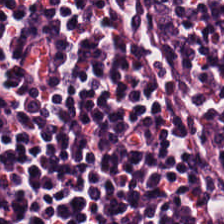Hematoxylin-and-eosin stained section · 0.5 µm/px. Predominant tissue — lymphocytes.
